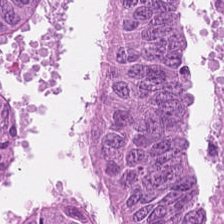Hematoxylin-and-eosin stained section.
Colorectal adenocarcinoma epithelium.
